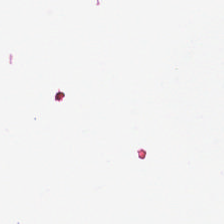Q: What is shown in this field?
A: The field shows background (no tissue).
